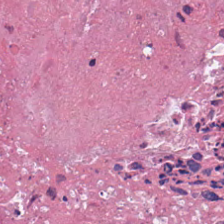Q: What tissue is shown?
A: It is cellular debris.
